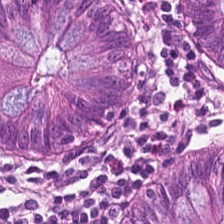0.5 µm per pixel. H&E-stained tissue section. 224×224 pixel tile. The tissue here is normal colon mucosa.
